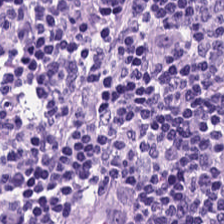Lymphocyte aggregate.
